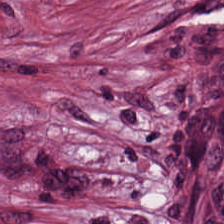224×224 px patch · hematoxylin-and-eosin stained section.
Desmoplastic stroma.
